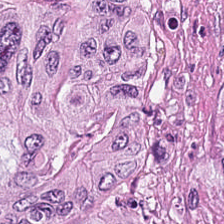Stain: H&E.
Tissue class: colorectal adenocarcinoma.
